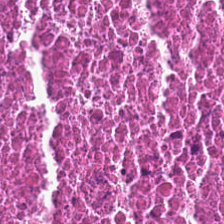Stain: H&E stain.
Classification: debris.
